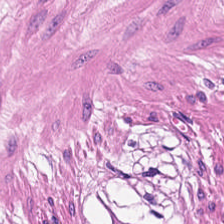Classification — smooth muscle.
